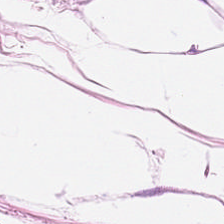FFPE; H&E.
Fat tissue.
